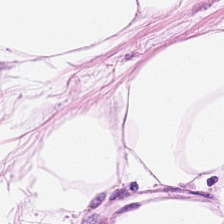H&E stain. 20× equivalent magnification. FFPE. {"tissue_type": "adipose"}
